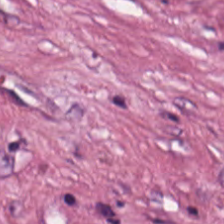Hematoxylin and eosin — Q: What does this patch show?
A: Tumor stroma.
